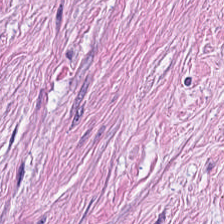Tissue — muscularis.
